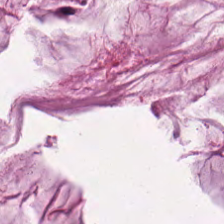224×224 pixel tile · H&E. Finding — mucus.
